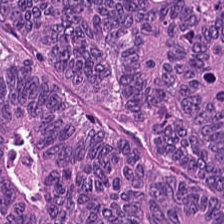Stain: H&E stain.
Classification: malignant epithelium.
